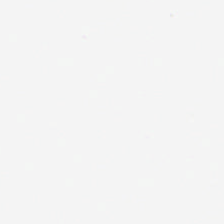H&E stain.
Q: What does this patch show?
A: The field shows empty background.
